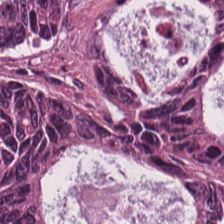Stain: hematoxylin-and-eosin stained section.
Predominant tissue: malignant epithelium.
